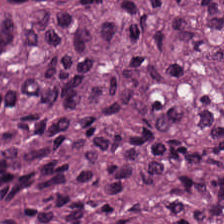H&E.
Q: What does this patch show?
A: Adenocarcinoma.
